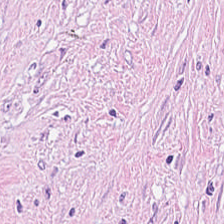H&E stain — Q: What is shown in this field?
A: This is cancer-associated stroma.
